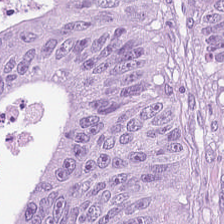The predominant tissue is tumor epithelium.
